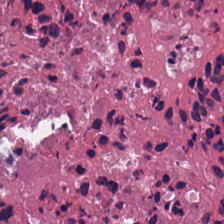Debris.
